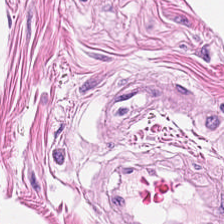FFPE. H&E. 224×224 px patch.
Classification — muscularis.
